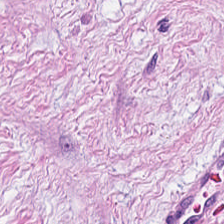0.5 microns per pixel. Hematoxylin-and-eosin stained section. 224×224 pixel tile.
Predominantly tumor stroma.
